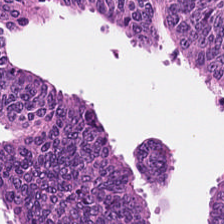Stain: H&E-stained tissue section.
Tile size: 224×224 pixel tile.
Acquisition: brightfield.
Predominant tissue: malignant epithelium.
